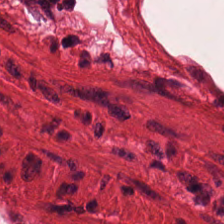H&E-stained tissue section. Tissue class = muscularis.
